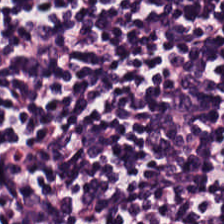224×224 px tile; hematoxylin-and-eosin stained section.
Q: What tissue is shown?
A: This is lymphoid infiltrate.
